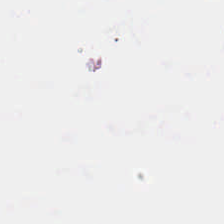Hematoxylin and eosin. This patch shows no tissue.
